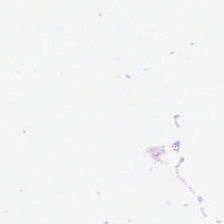Hematoxylin-and-eosin stained section.
Empty field — background.
